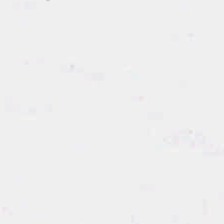Hematoxylin and eosin · 0.5 microns per pixel. Histology — empty background.
